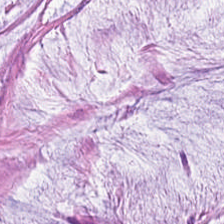Hematoxylin and eosin — This patch shows mucin.
